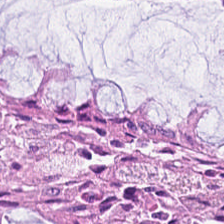224×224 px tile · H&E stain · FFPE.
Tissue type = normal colonic mucosa.
